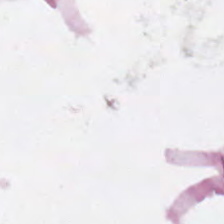H&E stain; 224×224 pixel tile; formalin-fixed paraffin-embedded section.
This patch shows fat tissue.
